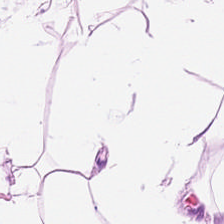H&E stain. This field is adipose tissue.
